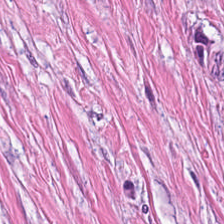Hematoxylin-and-eosin stained section · 224×224 pixel tile.
The tissue here is cancer-associated stroma.
